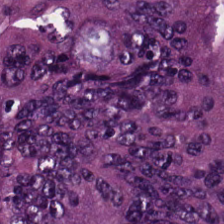Stain: H&E.
Resolution: 0.5 µm/px.
Tile size: 224×224 px patch.
Tissue class: colorectal adenocarcinoma.
